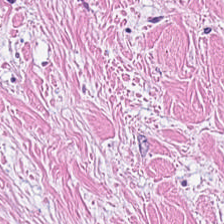H&E stain — Tumor stroma.
